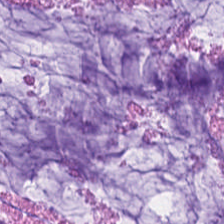H&E · 224×224 pixel tile.
{"tissue_type": "extracellular mucin"}
